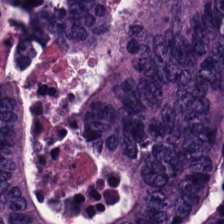Hematoxylin-and-eosin stained section; 224×224 px tile. Tumor epithelium.
